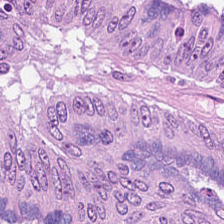Q: What is shown here?
A: Colorectal adenocarcinoma epithelium.
